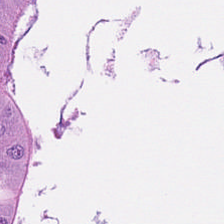20× equivalent magnification · H&E-stained tissue section.
This field is adenocarcinoma.
